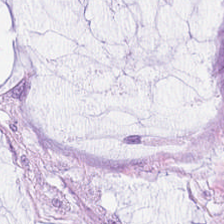H&E. 224×224 pixel tile — This field is mucin.
